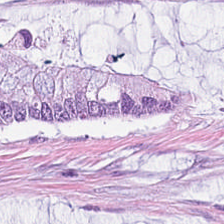H&E-stained tissue section — Tissue class: mucus.
